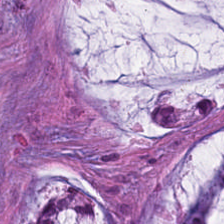H&E — Showing extracellular mucin.
